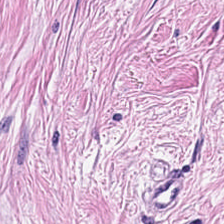H&E-stained tissue section — The predominant tissue is cancer-associated stroma.
